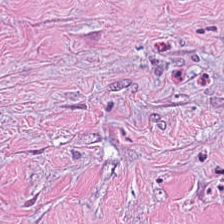Hematoxylin and eosin.
The predominant tissue is cancer-associated stroma.
